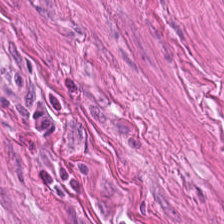Stain: H&E-stained tissue section.
Predominant tissue: muscularis.
